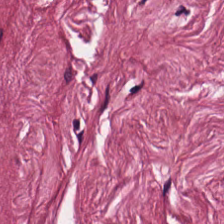FFPE tissue section · H&E-stained tissue section · 0.5 µm/px.
This patch shows tumor stroma.
